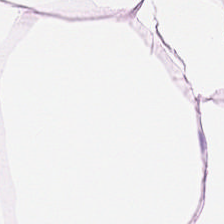20× equivalent magnification; H&E stain; whole-slide-image patch.
Classification: adipocytes.
